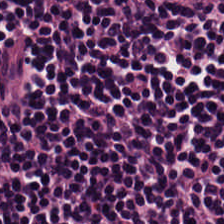This patch shows lymphocyte aggregate.
